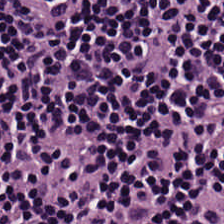FFPE; 224×224 px patch; hematoxylin and eosin.
Tissue class = lymphocytes.
